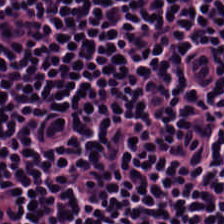Formalin-fixed paraffin-embedded section · H&E — Lymphocyte aggregate.
